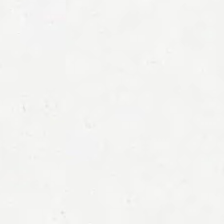H&E. Whole-slide-image patch. Classification: no tissue.
